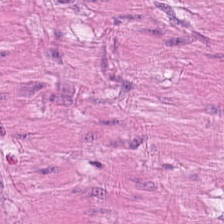Q: Classify this patch.
A: Smooth-muscle tissue.
